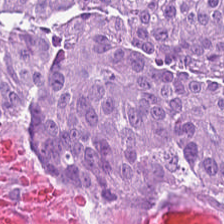H&E; 0.5 microns per pixel. This patch shows colorectal adenocarcinoma epithelium.
